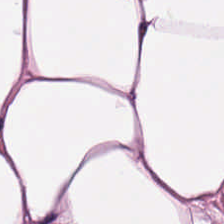Stain: hematoxylin-and-eosin stained section.
Resolution: 20× equivalent magnification.
Predominant tissue: fat tissue.
